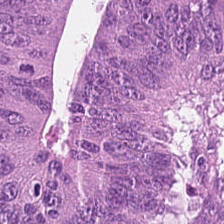H&E-stained tissue section — Malignant epithelium.
